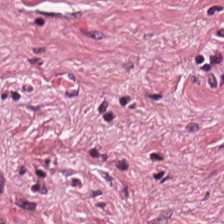Hematoxylin-and-eosin stained section.
Q: What type of tissue is this?
A: This is desmoplastic stroma.
